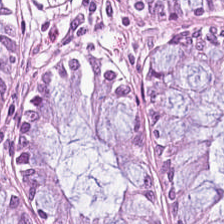Hematoxylin and eosin.
Predominantly normal colon mucosa.
